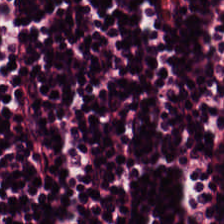H&E-stained tissue section. Q: Identify the tissue.
A: The field shows lymphoid infiltrate.
